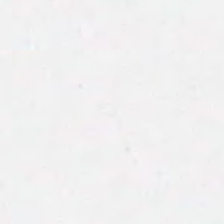H&E-stained tissue section.
Content: no tissue.
